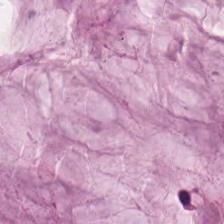H&E stain.
Tissue type = mucin.
